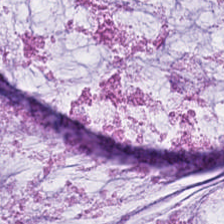224×224 pixel tile. 0.5 microns per pixel. H&E-stained tissue section — Predominant tissue — mucin.
